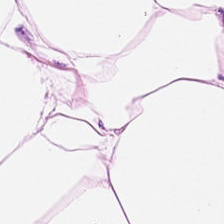H&E stain — This patch shows fat tissue.
